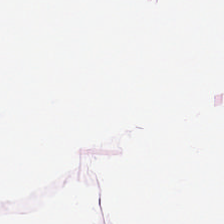Stain: hematoxylin-and-eosin stained section.
Tissue class: adipocytes.
